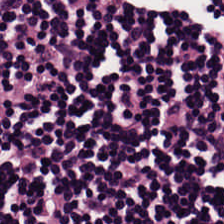H&E. FFPE.
This field is lymphocytes.
